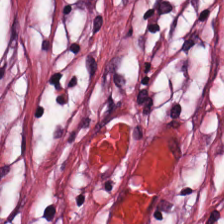FFPE · 0.5 microns per pixel · hematoxylin-and-eosin stained section. Tissue = cancer-associated stroma.
